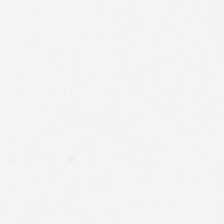Background — no tissue in this field.
